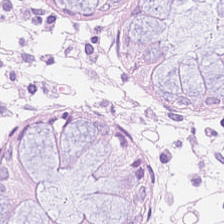Hematoxylin-and-eosin stained section.
The classification is normal colon mucosa.
